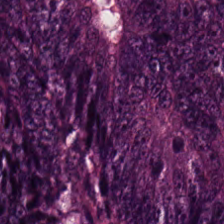H&E — The classification is colorectal adenocarcinoma.
